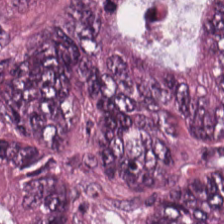0.5 microns per pixel · H&E stain.
This field is colorectal adenocarcinoma.
